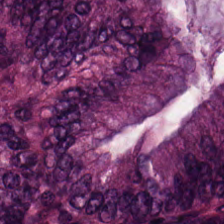Histology — malignant epithelium.
